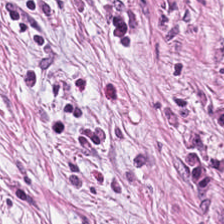Stain: H&E-stained tissue section.
Predominant tissue: cancer-associated stroma.
